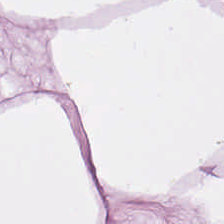H&E-stained tissue section; WSI patch.
The tissue type is fat tissue.
